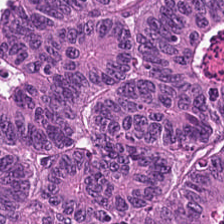Q: What is the predominant tissue type?
A: The field shows tumor epithelium.
